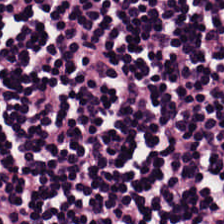H&E — lymphoid infiltrate.
